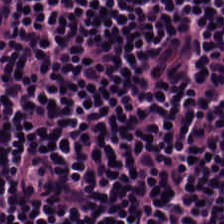H&E-stained tissue section — The predominant tissue is lymphocyte aggregate.
